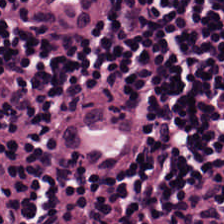H&E stain.
Finding → lymphoid infiltrate.
